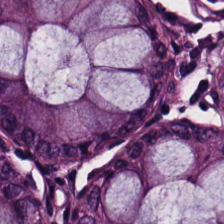Hematoxylin-and-eosin stained section.
Tissue type = normal colon mucosa.
